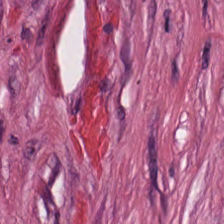Tissue = cancer-associated stroma.
